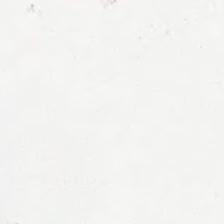H&E-stained tissue section; formalin-fixed paraffin-embedded section.
Q: What is shown in this field?
A: This is empty background.
